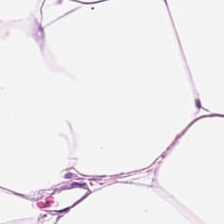Hematoxylin-and-eosin stained section. The tissue here is adipose.
